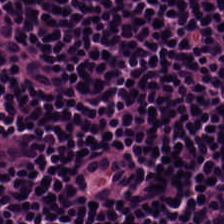The tissue type is lymphocytic infiltrate.
